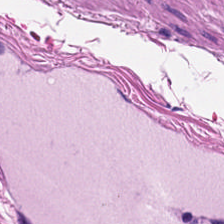Formalin-fixed paraffin-embedded section; hematoxylin and eosin. Tissue = muscularis.
